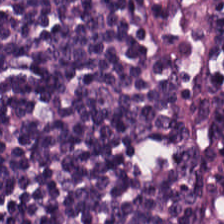Hematoxylin-and-eosin section: lymphocyte aggregate.
